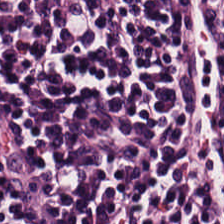H&E-stained tissue section — This patch shows lymphoid infiltrate.
